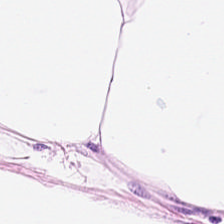Stain: H&E stain.
Tissue: adipose tissue.
